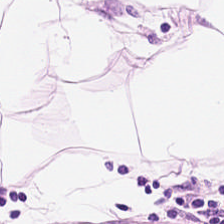H&E stain. Q: What does this patch show?
A: Adipose tissue.
